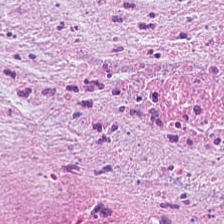H&E · 20× equivalent magnification · 224×224 pixel tile.
Q: What is the predominant tissue type?
A: Tumor-associated stroma.
